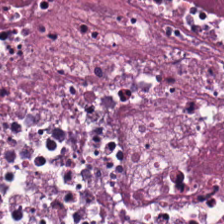Stain: hematoxylin and eosin.
Acquisition: brightfield.
Resolution: 20× equivalent magnification.
Tissue type: necrotic debris.
